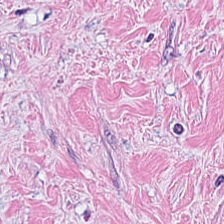Brightfield microscopy. H&E — Tissue class: desmoplastic stroma.
